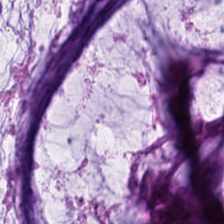Hematoxylin and eosin — This field is mucin.
